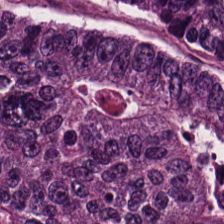Hematoxylin-and-eosin stained section. The tissue here is colorectal adenocarcinoma.
